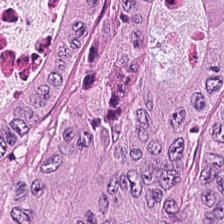Formalin-fixed paraffin-embedded section; H&E-stained tissue section; 224×224 pixel tile — Predominantly adenocarcinoma.
